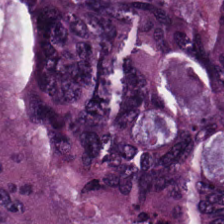Hematoxylin and eosin — Q: What tissue type is shown here?
A: The field shows tumor epithelium.
